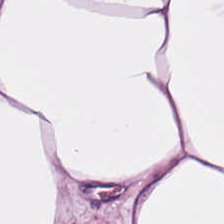Impression → adipocytes.
